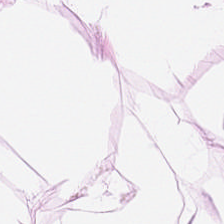H&E. 224×224 pixel tile. Showing adipose tissue.
